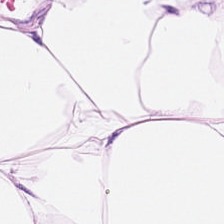Tissue class: fat tissue.
